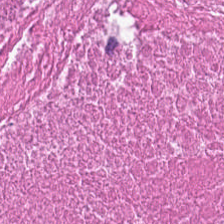Tissue type — cellular debris.
